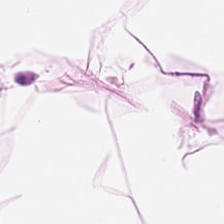Formalin-fixed paraffin-embedded section · hematoxylin-and-eosin stained section — {"tissue_type": "fat tissue"}
